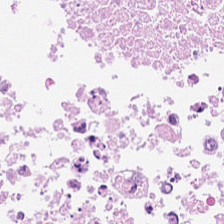224×224 px patch · hematoxylin and eosin.
Debris.
